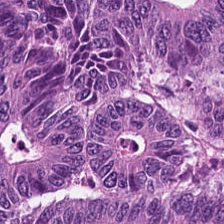Hematoxylin-and-eosin stained section; 224×224 pixel tile. {"tissue_type": "adenocarcinoma"}
